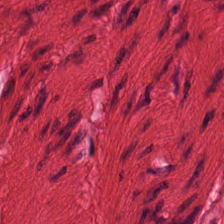H&E-stained tissue section showing smooth muscle.
